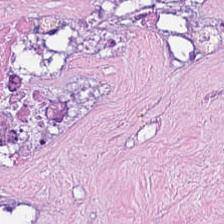Hematoxylin-and-eosin section: cellular debris.
